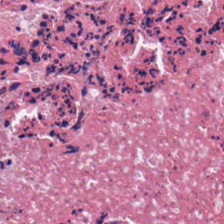H&E — necrotic debris.
